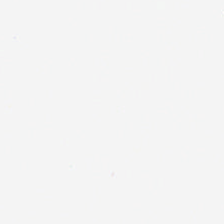Stain: H&E.
Preparation: FFPE.
Field content: background.
